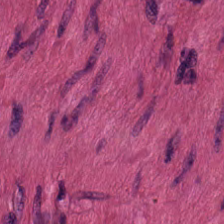H&E-stained tissue section.
Impression — smooth muscle.
